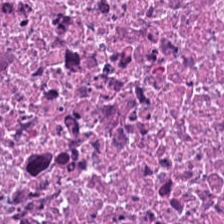Tissue class: debris.
